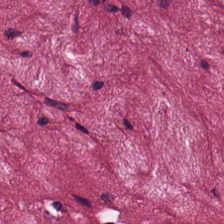Brightfield. H&E-stained tissue section. 0.5 microns per pixel.
The tissue here is cancer-associated stroma.
